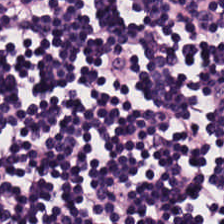Hematoxylin-and-eosin stained section — Histology → lymphocytes.
